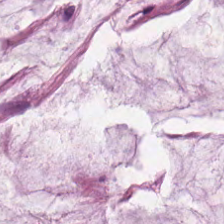Hematoxylin and eosin — The tissue is extracellular mucin.
